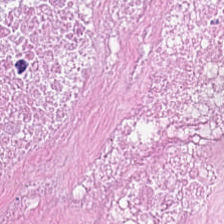Hematoxylin-and-eosin stained section. 224×224 px patch.
{"tissue_type": "debris"}
